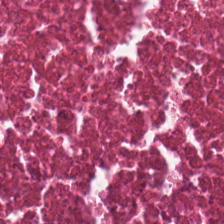Stain: hematoxylin and eosin.
Tissue type: cellular debris.
